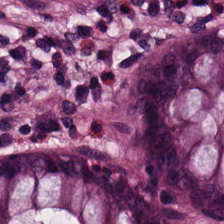H&E stain — Benign colonic mucosa.
